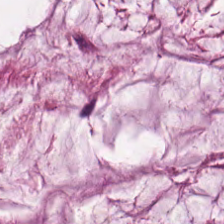The tissue here is mucus.
